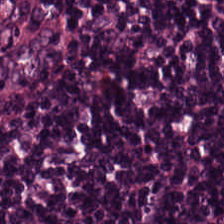The predominant tissue is lymphocyte aggregate.
